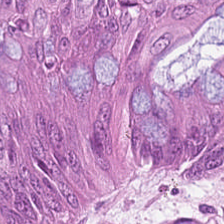Finding → malignant epithelium.
